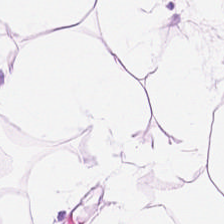Stain: H&E stain.
Preparation: FFPE tissue section.
Classification: adipose.
